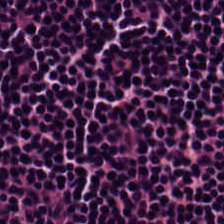Stain: hematoxylin and eosin.
Tissue class: lymphocytes.
